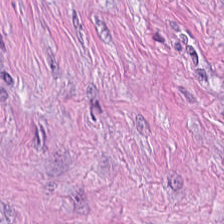H&E. Impression → cancer-associated stroma.
